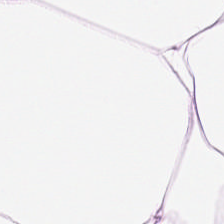Brightfield. H&E-stained tissue section — Predominantly adipocytes.
